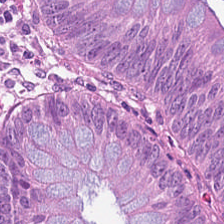FFPE tissue section · 224×224 pixel tile · hematoxylin-and-eosin stained section. Q: What tissue type is shown here?
A: This is colorectal adenocarcinoma.
